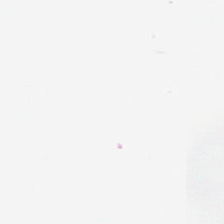Field content — background.
